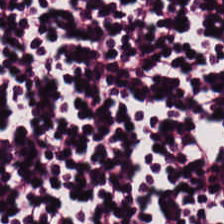224×224 px tile. H&E. WSI patch.
Impression → lymphoid infiltrate.
